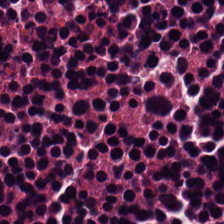H&E stain.
Q: What is shown here?
A: Necrotic debris.
